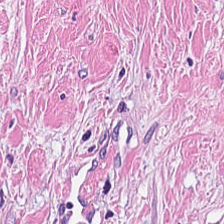Tissue class: tumor stroma.
